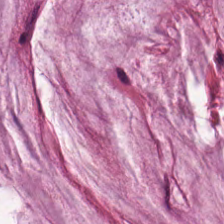Stain: hematoxylin-and-eosin stained section.
Predominant tissue: mucin.
